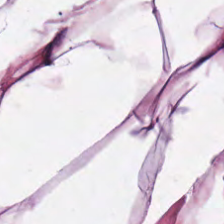Hematoxylin-and-eosin stained section — Tissue type — adipose.
